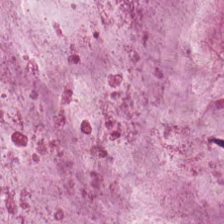H&E stain — Mucin.
